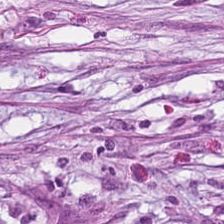Whole-slide-image patch. Hematoxylin and eosin. Q: Identify the tissue.
A: Tumor stroma.
